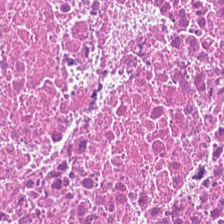H&E-stained tissue section.
This patch shows debris.
